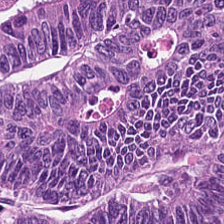H&E patch showing colorectal adenocarcinoma.
